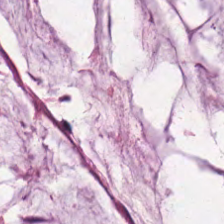H&E stain · 224×224 px patch. Q: Classify this patch.
A: It is extracellular mucin.
